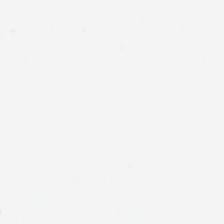224×224 px tile. H&E.
Empty field — background.
